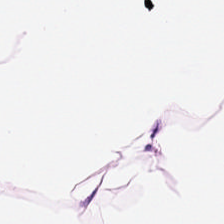H&E stain. Adipose tissue.
